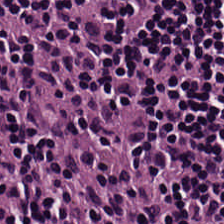H&E-stained tissue section. 0.5 µm per pixel — Finding — lymphocytes.
